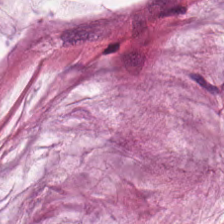Stain: hematoxylin and eosin.
Tissue class: mucin.
